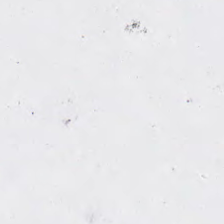Background — no tissue in this field.
